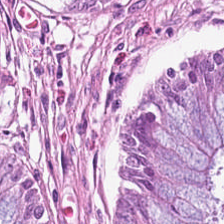Q: Identify the tissue.
A: The field shows non-neoplastic colon mucosa.
